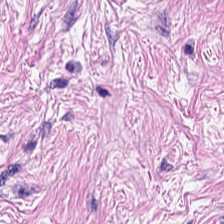0.5 µm per pixel · H&E stain.
Showing cancer-associated stroma.
